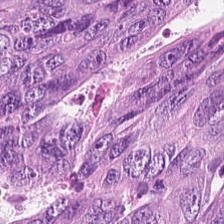Stain: H&E stain.
Predominant tissue: tumor epithelium.
